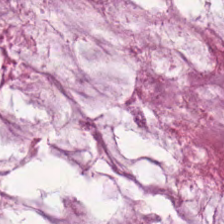H&E — This field is extracellular mucin.
